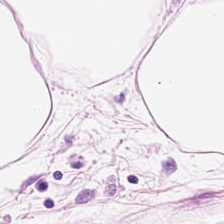0.5 microns per pixel; H&E-stained tissue section — Predominantly adipocytes.
